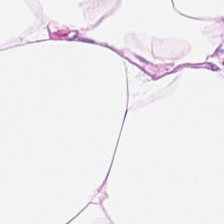Hematoxylin-and-eosin stained section — This patch shows adipose tissue.
